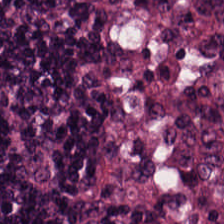Histology → lymphocytes.
